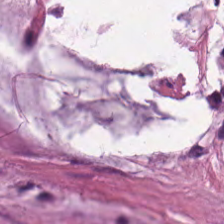Classification: extracellular mucin.
